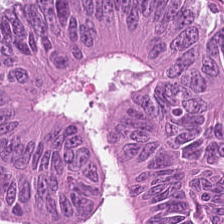Hematoxylin-and-eosin stained section — Q: What does this patch show?
A: This is colorectal adenocarcinoma epithelium.
